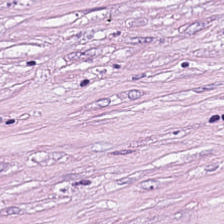224×224 px patch. Hematoxylin-and-eosin stained section. Q: What is shown in this field?
A: This is tumor stroma.
